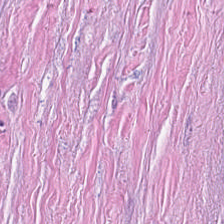Hematoxylin and eosin — The predominant tissue is tumor-associated stroma.
